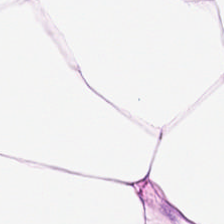Histology → adipocytes.
